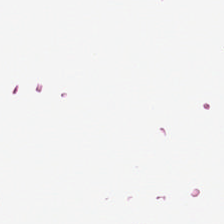H&E-stained tissue section. This patch shows background (no tissue).
